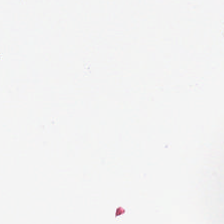No tissue present; background only.
